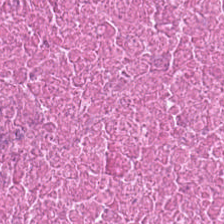H&E.
Impression → cellular debris.
